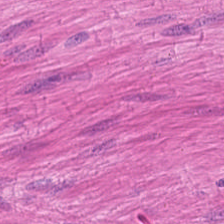H&E. Muscularis.
